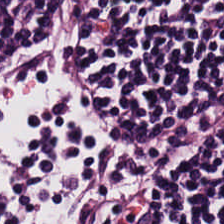H&E stain — Tissue type = lymphoid infiltrate.
